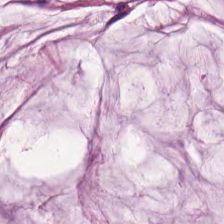224×224 px patch · hematoxylin-and-eosin stained section · 20× equivalent magnification.
{"tissue_type": "extracellular mucin"}
